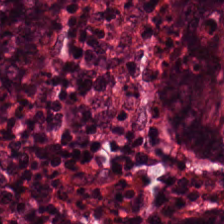0.5 µm/px; hematoxylin and eosin; FFPE tissue section. The predominant tissue is non-neoplastic colon mucosa.
